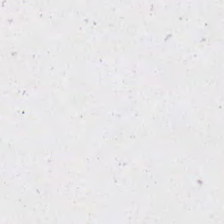Q: Classify this patch.
A: This is no tissue.
